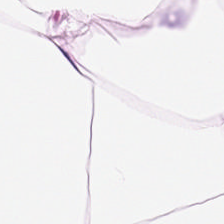H&E patch showing adipose tissue.
